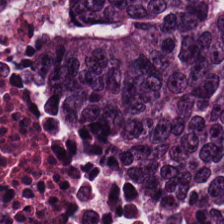H&E patch showing colorectal adenocarcinoma.
